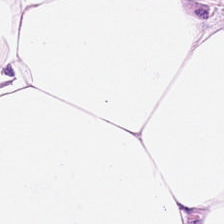Hematoxylin and eosin — Classification — adipocytes.
